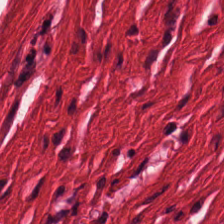Formalin-fixed paraffin-embedded section; hematoxylin and eosin.
This field is muscularis.
